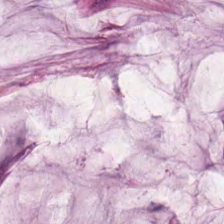0.5 µm/px; H&E stain — Q: Classify this patch.
A: Extracellular mucin.
